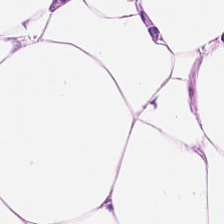0.5 µm/px; H&E.
Tissue type: adipose tissue.
